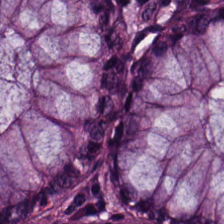Q: What is shown here?
A: This is benign colonic mucosa.
